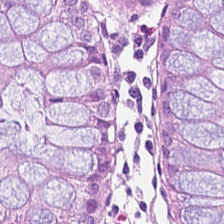H&E stain. The tissue here is normal colon mucosa.
